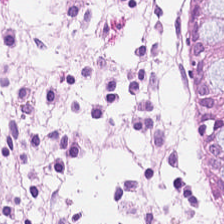H&E stain; 224×224 pixel tile; formalin-fixed paraffin-embedded section.
The tissue type is non-neoplastic colon mucosa.
